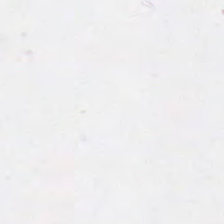FFPE · hematoxylin-and-eosin stained section. Q: What is shown in this field?
A: This is background (no tissue).
